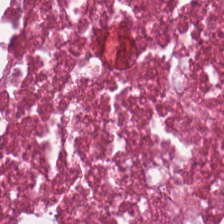H&E-stained tissue section — Debris.
